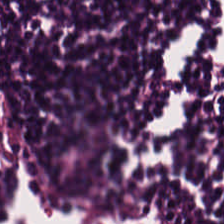H&E · whole-slide-image patch · 0.5 microns per pixel — Q: Identify the tissue.
A: Lymphocytes.
